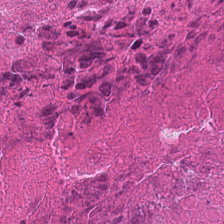H&E-stained tissue section · WSI patch — Tissue — debris.
